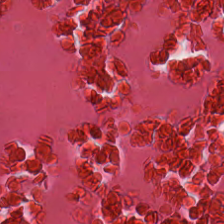224×224 px tile · H&E stain — Predominantly debris.
